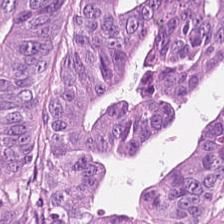FFPE. H&E stain. The tissue type is colorectal adenocarcinoma epithelium.
